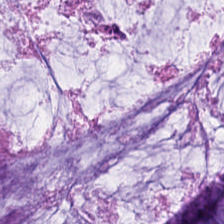H&E-stained tissue section; FFPE tissue section; whole-slide-image patch. Predominantly extracellular mucin.
